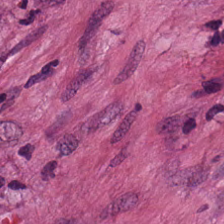H&E · WSI patch — Classification — tumor-associated stroma.
